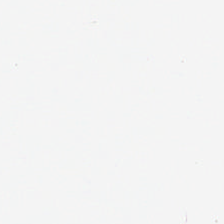Hematoxylin-and-eosin stained section. FFPE.
Q: What does this patch show?
A: It is background.
